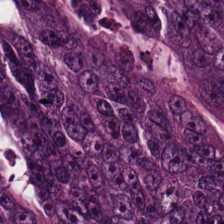The predominant tissue is malignant epithelium.
